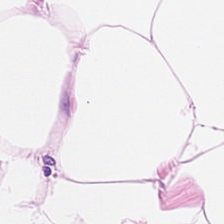Adipose tissue.
